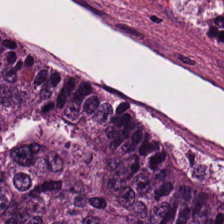224×224 px tile · hematoxylin-and-eosin stained section.
The tissue here is colorectal adenocarcinoma epithelium.
